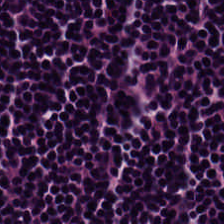Tissue type — lymphoid infiltrate.
